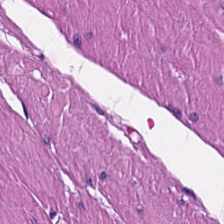The classification is muscularis.
